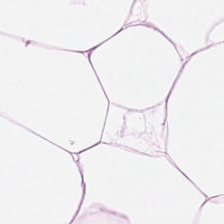Hematoxylin-and-eosin stained section — Tissue = fat tissue.
